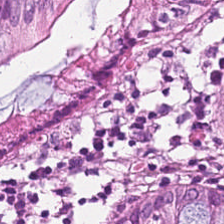H&E stain — Predominantly non-neoplastic colon mucosa.
